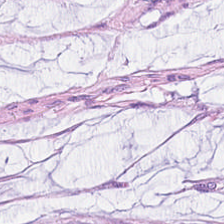H&E · FFPE.
Tissue: mucin.
